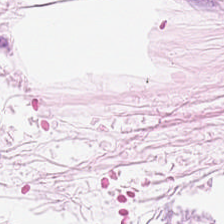H&E-stained section; the field shows adipose tissue.
